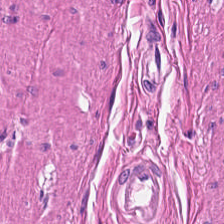Stain: hematoxylin and eosin.
Classification: smooth muscle.
